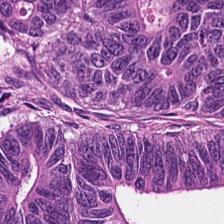224×224 pixel tile. H&E.
The classification is tumor epithelium.
